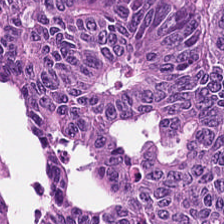Hematoxylin-and-eosin stained section.
Classification — malignant epithelium.
